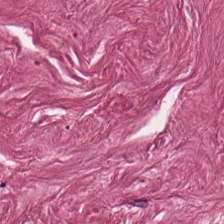Hematoxylin-and-eosin stained section.
Impression → tumor-associated stroma.
